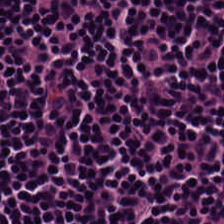224×224 px patch · hematoxylin-and-eosin stained section · FFPE — The classification is lymphocytes.
